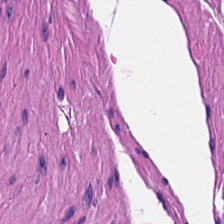Q: What is the predominant tissue type?
A: This is smooth-muscle tissue.
